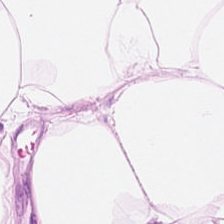The classification is adipose.
